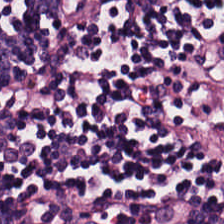Hematoxylin and eosin.
Predominantly lymphocytic infiltrate.
